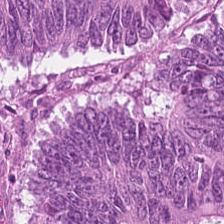H&E. 20× equivalent magnification — Predominantly tumor epithelium.
